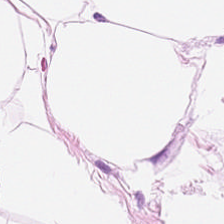FFPE · H&E-stained tissue section · 0.5 µm/px — This patch shows adipocytes.
